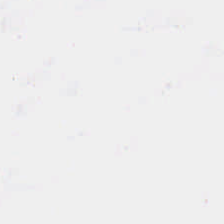The field content is background.
